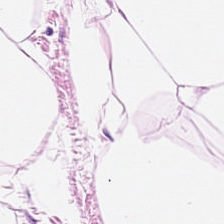Hematoxylin-and-eosin stained section; FFPE tissue section. Tissue class: fat tissue.
